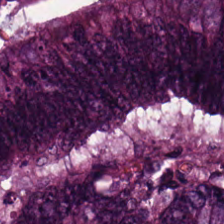Stain: H&E.
Resolution: 0.5 microns per pixel.
Tissue type: tumor epithelium.
